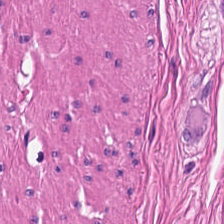Hematoxylin and eosin — Q: What tissue type is shown here?
A: Smooth-muscle tissue.
